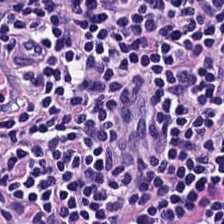H&E stain.
Tissue type = lymphoid infiltrate.
